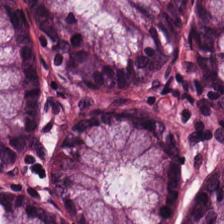Stain: H&E-stained tissue section.
Preparation: FFPE.
Predominant tissue: normal colonic mucosa.
